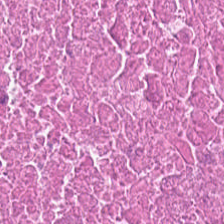Hematoxylin and eosin — Q: What is shown in this field?
A: This is cellular debris.
